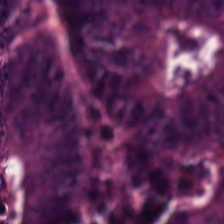H&E stain. 224×224 px tile — Histology — tumor epithelium.
